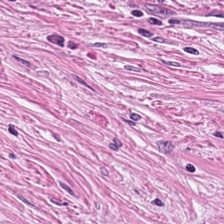H&E.
Finding → cancer-associated stroma.
